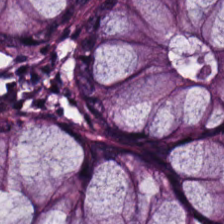Q: What tissue type is shown here?
A: Normal colonic mucosa.
